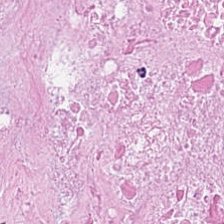FFPE tissue section. 20× equivalent magnification. Hematoxylin-and-eosin stained section.
The tissue here is debris.
